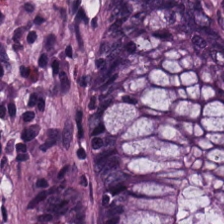H&E-stained tissue section · 0.5 µm per pixel — Predominantly benign colonic mucosa.
